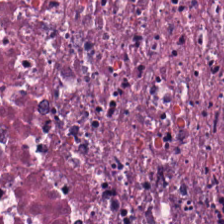Hematoxylin and eosin.
Debris.
